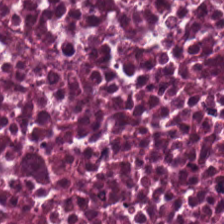Stain: H&E.
Preparation: formalin-fixed paraffin-embedded section.
Tissue: necrotic debris.
